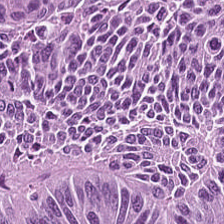This field is tumor epithelium.
